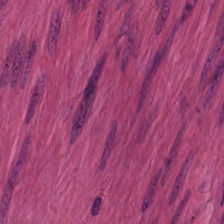Brightfield microscopy. H&E stain. 0.5 µm per pixel — Tissue — smooth-muscle tissue.
